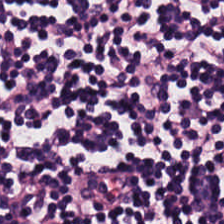Whole-slide-image patch. H&E-stained tissue section — Tissue type — lymphocytes.
